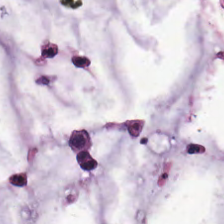Formalin-fixed paraffin-embedded section. Hematoxylin and eosin. This field is extracellular mucin.
